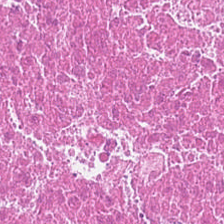Hematoxylin and eosin — Tissue = cellular debris.
